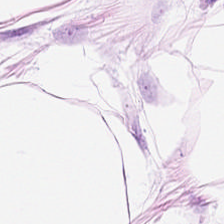H&E-stained tissue section; whole-slide-image patch — Adipocytes.
